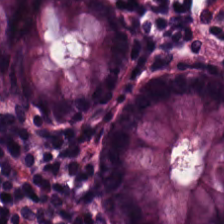Hematoxylin and eosin; 20× equivalent magnification — Q: What is the predominant tissue type?
A: Normal colonic mucosa.
